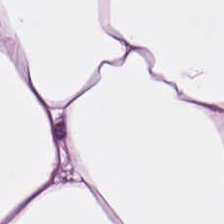224×224 px patch. Formalin-fixed paraffin-embedded section. H&E-stained tissue section. Q: What is shown in this field?
A: This is fat tissue.
